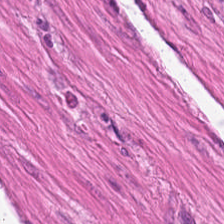Hematoxylin and eosin · 224×224 px patch — Finding → muscularis.
